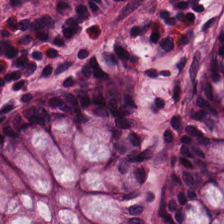0.5 µm/px · whole-slide-image patch · hematoxylin and eosin — Classification = normal colonic mucosa.
